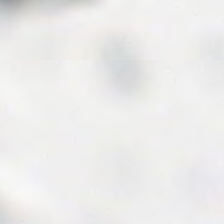H&E stain.
Content — empty background.
